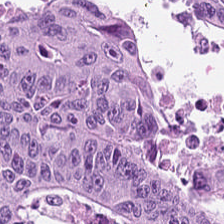Q: What does this patch show?
A: Adenocarcinoma.
